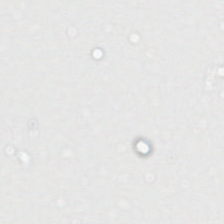H&E. Background (no tissue).
